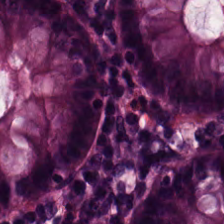FFPE tissue section; brightfield; H&E.
Impression → normal colonic mucosa.
